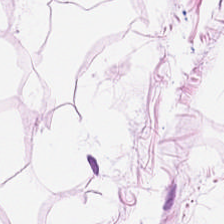H&E — Classification = adipose tissue.
